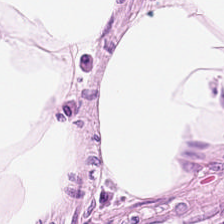20× equivalent magnification · hematoxylin-and-eosin stained section — This patch shows fat tissue.
